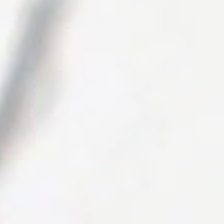Stain: H&E.
Acquisition: brightfield microscopy.
Field content: no tissue.
